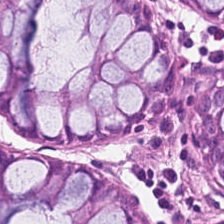Hematoxylin-and-eosin stained section. Brightfield.
Benign colonic mucosa.
